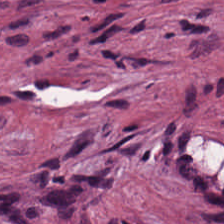224×224 px tile. Formalin-fixed paraffin-embedded section. Hematoxylin and eosin. The tissue type is tumor stroma.
